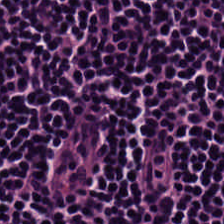Stain: hematoxylin-and-eosin stained section.
Tissue class: lymphocyte aggregate.
